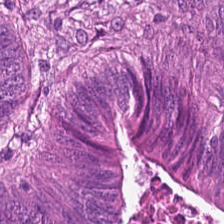Hematoxylin-and-eosin stained section.
Q: What tissue is shown?
A: Malignant epithelium.
